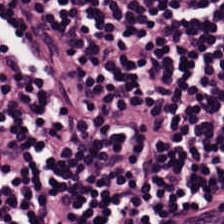Stain: H&E-stained tissue section.
Tile size: 224×224 pixel tile.
Resolution: 20× equivalent magnification.
Tissue type: lymphoid infiltrate.
